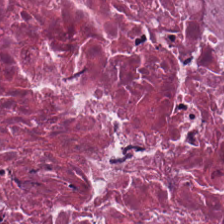H&E-stained tissue section. The tissue type is debris.
